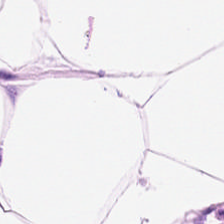Finding → adipose.
